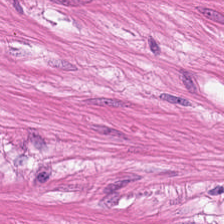H&E — Predominantly muscularis.
